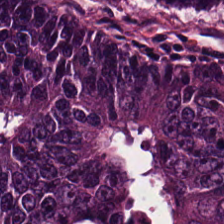Stain: H&E-stained tissue section.
Predominant tissue: tumor epithelium.
